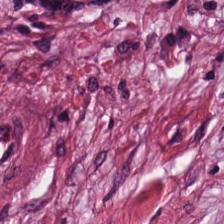Stain: H&E-stained tissue section.
Classification: cancer-associated stroma.
